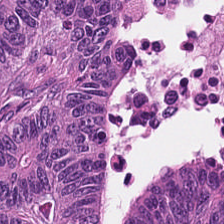224×224 px patch · hematoxylin and eosin — Predominantly adenocarcinoma.
